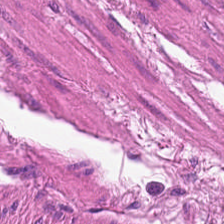Hematoxylin-and-eosin stained section · 20× equivalent magnification. Muscularis.
